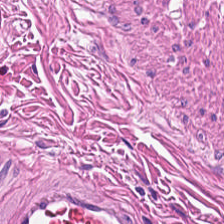Tissue type: smooth muscle.
